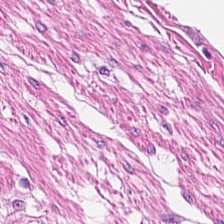Stain: H&E-stained tissue section.
Tile size: 224×224 px patch.
Resolution: 20× equivalent magnification.
Predominant tissue: smooth muscle.
